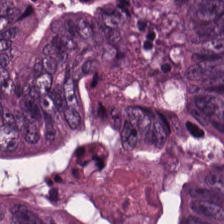H&E. 224×224 px patch. FFPE.
This patch shows cellular debris.
